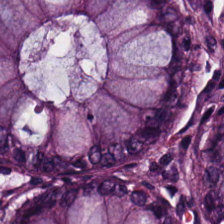Hematoxylin-and-eosin stained section. Q: What is shown in this field?
A: It is benign colonic mucosa.
